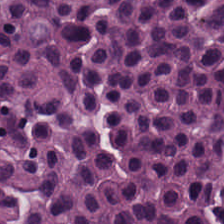H&E-stained tissue section; whole-slide-image patch; 0.5 microns per pixel. Tissue type: lymphoid infiltrate.
